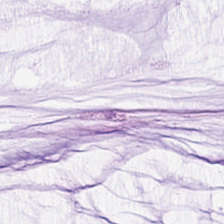Hematoxylin and eosin. Histology → mucin.
